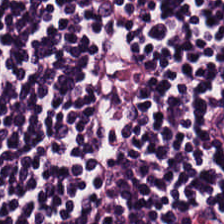Tissue class — lymphocytes.
